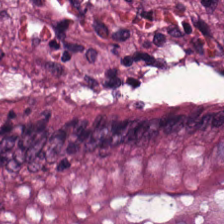Stain: H&E.
Preparation: formalin-fixed paraffin-embedded section.
Tile size: 224×224 pixel tile.
Tissue type: normal colonic mucosa.
